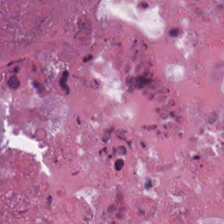Brightfield microscopy; H&E-stained tissue section.
The predominant tissue is debris.
